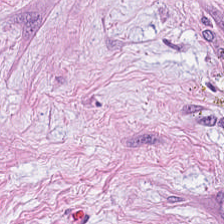H&E-stained tissue section. Q: What is shown in this field?
A: Tumor stroma.
